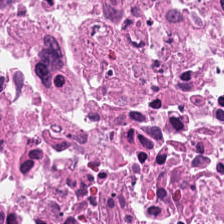H&E-stained section; the field shows cellular debris.
